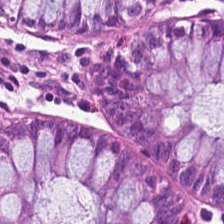0.5 microns per pixel · 224×224 px patch · H&E — Histology → benign colonic mucosa.
